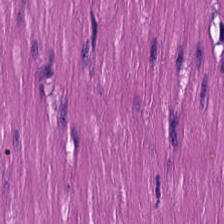Stain: H&E-stained tissue section.
Tissue: smooth muscle.
